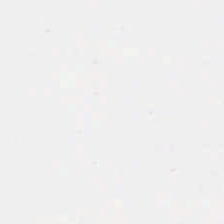H&E. No tissue present; background only.
